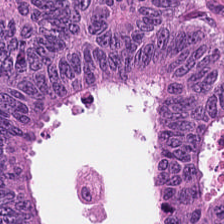Histology — colorectal adenocarcinoma epithelium.
